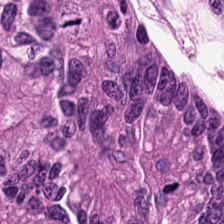H&E-stained tissue section. The tissue type is malignant epithelium.
